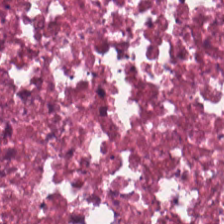Hematoxylin-and-eosin stained section — The classification is cellular debris.
